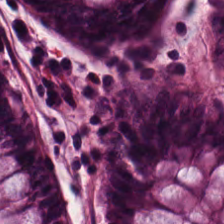H&E-stained tissue section — Predominantly normal colonic mucosa.
